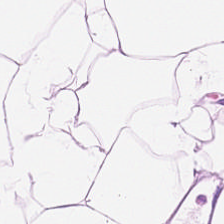This field is adipocytes.
